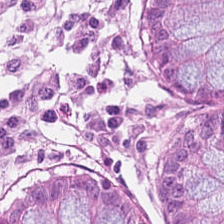Hematoxylin-and-eosin stained section; 224×224 pixel tile — Showing normal colonic mucosa.
